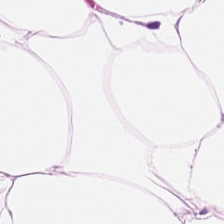Hematoxylin and eosin — This field is fat tissue.
